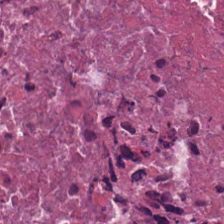H&E-stained tissue section. Brightfield microscopy.
Q: What is shown here?
A: Debris.
